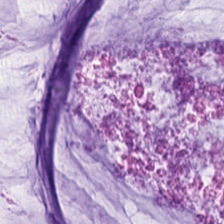Stain: H&E stain.
Tissue: extracellular mucin.
